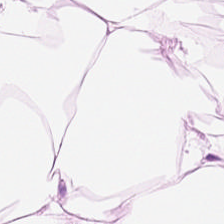H&E-stained tissue section; FFPE tissue section; 224×224 px patch — Tissue type = adipocytes.
